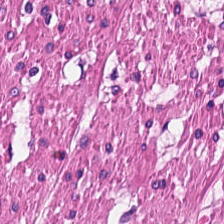H&E stain; 224×224 pixel tile; formalin-fixed paraffin-embedded section — This field is smooth muscle.
